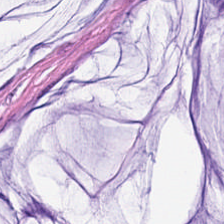Hematoxylin and eosin. Tissue class = extracellular mucin.
